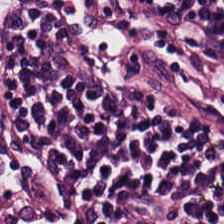Stain: H&E stain.
Preparation: FFPE.
Classification: lymphocyte aggregate.
